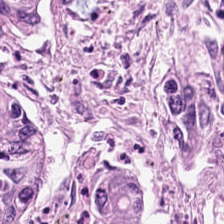Hematoxylin-and-eosin stained section. Tissue type = adenocarcinoma.
